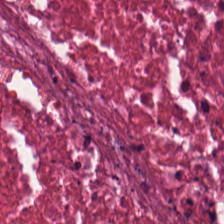H&E-stained tissue section.
Tissue — cellular debris.
